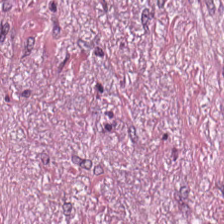Finding → desmoplastic stroma.
